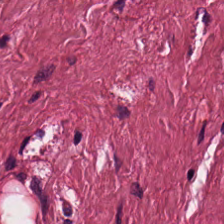H&E-stained tissue section. Q: What is shown in this field?
A: This is desmoplastic stroma.
